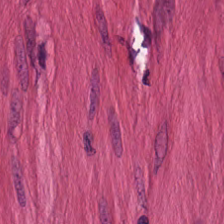The predominant tissue is muscularis.
